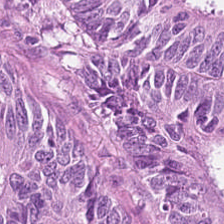Hematoxylin-and-eosin stained section.
Finding → malignant epithelium.
